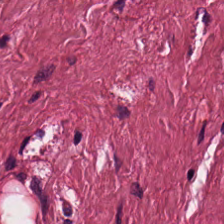Tumor-associated stroma.
